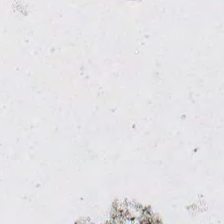Hematoxylin and eosin · brightfield microscopy — Field content = no tissue.
